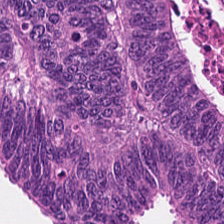Hematoxylin-and-eosin stained section — Malignant epithelium.
